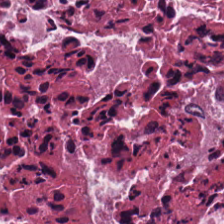Necrotic debris.
